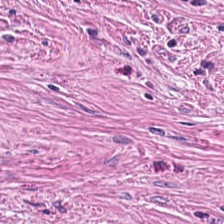Hematoxylin and eosin · formalin-fixed paraffin-embedded section. Histology → cancer-associated stroma.
